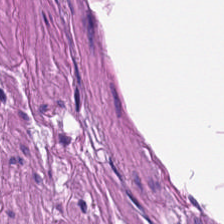H&E — Showing smooth-muscle tissue.
